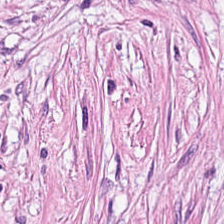H&E-stained tissue section.
The tissue type is tumor-associated stroma.
